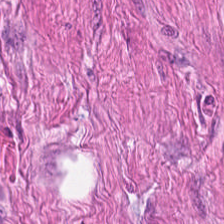WSI patch · FFPE tissue section · H&E stain — The tissue class is smooth muscle.
